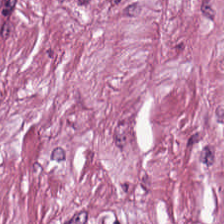Stain: hematoxylin-and-eosin stained section.
Tile size: 224×224 pixel tile.
Acquisition: brightfield.
Tissue type: desmoplastic stroma.
